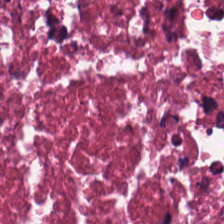Hematoxylin-and-eosin stained section — Predominant tissue: debris.
